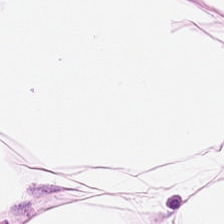H&E stain — The tissue type is fat tissue.
